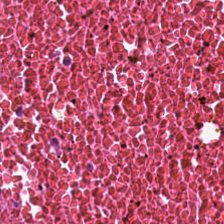Hematoxylin and eosin. Impression — cellular debris.
